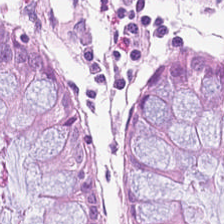Tissue type: normal colon mucosa.
